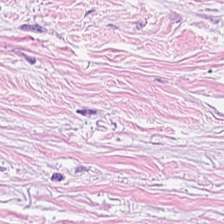The predominant tissue is tumor stroma.
